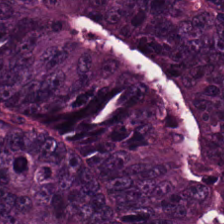Predominant tissue: colorectal adenocarcinoma.
